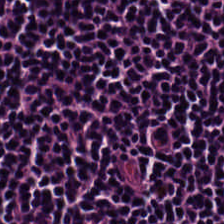224×224 px patch · hematoxylin-and-eosin stained section.
The predominant tissue is lymphoid infiltrate.
